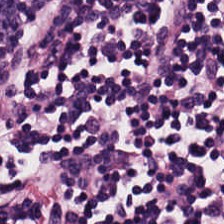H&E-stained tissue section · FFPE.
The classification is lymphocytic infiltrate.
